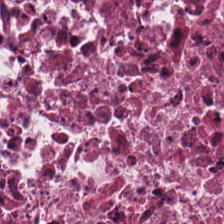H&E.
Predominant tissue = necrotic debris.
